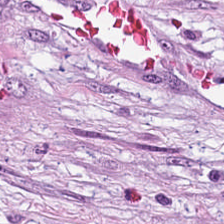Stain: hematoxylin-and-eosin stained section.
Resolution: 20× equivalent magnification.
Tissue: desmoplastic stroma.
